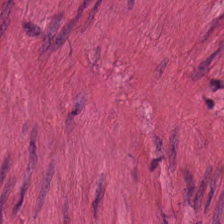Hematoxylin-and-eosin stained section — The tissue here is muscularis.
